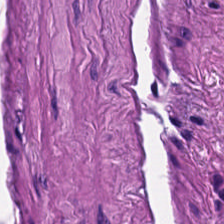H&E stain. The classification is smooth muscle.
